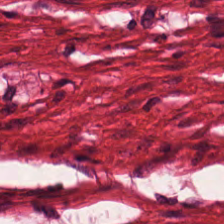Predominant tissue = smooth-muscle tissue.
